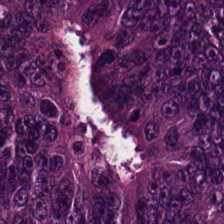Hematoxylin and eosin.
The predominant tissue is malignant epithelium.
